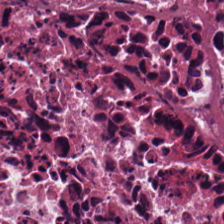Hematoxylin and eosin — Histology — debris.
